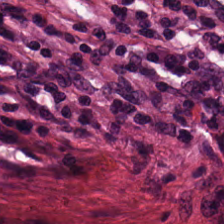Q: What type of tissue is this?
A: The field shows cancer-associated stroma.
